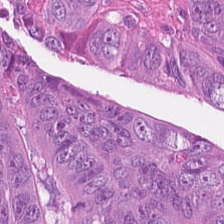H&E stain.
Colorectal adenocarcinoma epithelium.
